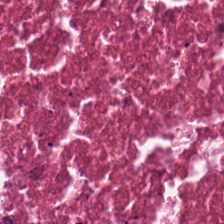0.5 µm/px; brightfield microscopy; hematoxylin-and-eosin stained section — Classification — necrotic debris.
